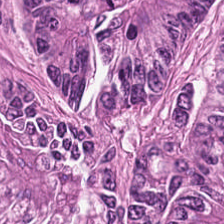H&E stain. Brightfield microscopy.
Tissue type — adenocarcinoma.
